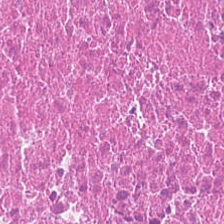H&E-stained tissue section; 0.5 µm per pixel — Q: What tissue type is shown here?
A: It is necrotic debris.
